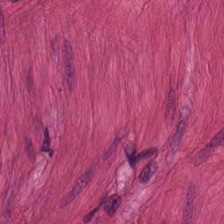H&E.
This field is smooth-muscle tissue.
